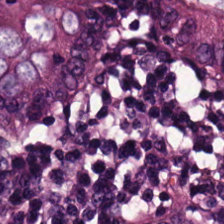Q: What is the predominant tissue type?
A: This is benign colonic mucosa.
